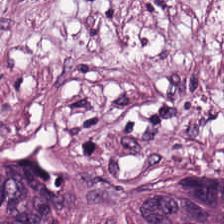Brightfield · FFPE · H&E — Q: What is shown in this field?
A: Desmoplastic stroma.
